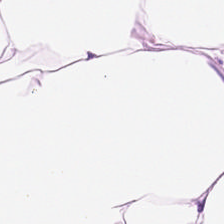Hematoxylin and eosin.
Classification — adipocytes.
